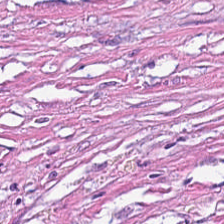H&E — Predominant tissue: desmoplastic stroma.
